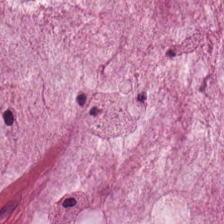Hematoxylin-and-eosin stained section — Q: What is the predominant tissue type?
A: The field shows mucus.
